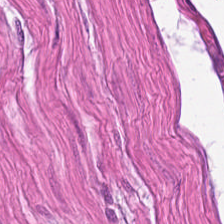Hematoxylin-and-eosin stained section. Impression — smooth muscle.
